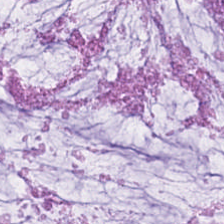Showing mucin.
